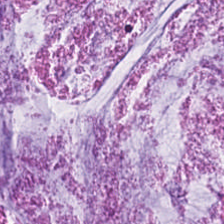Hematoxylin and eosin. Predominantly mucus.
